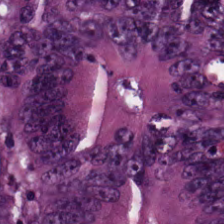Hematoxylin and eosin.
{"tissue_type": "tumor epithelium"}
